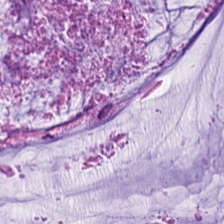H&E. {"tissue_type": "extracellular mucin"}
